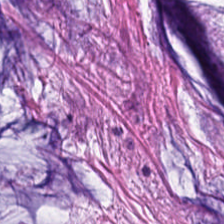FFPE; 224×224 pixel tile; H&E stain. Classification — mucin.
